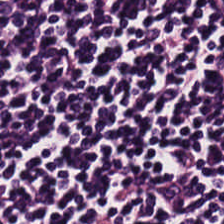Hematoxylin and eosin — The tissue type is lymphocytic infiltrate.
